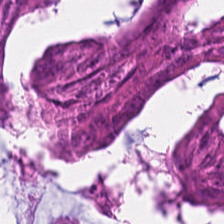224×224 px patch · H&E-stained tissue section. Impression — malignant epithelium.
